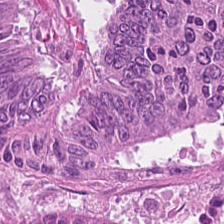H&E-stained tissue section.
Showing tumor epithelium.
